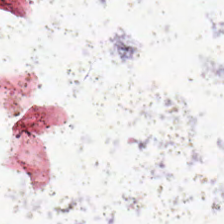Hematoxylin and eosin · brightfield microscopy · 224×224 pixel tile.
The classification is background.
